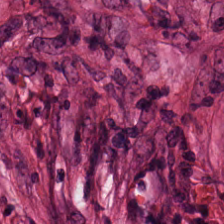Hematoxylin and eosin. Impression — cancer-associated stroma.
